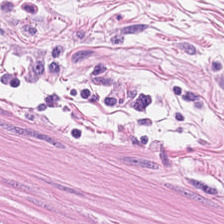Hematoxylin-and-eosin stained section · FFPE.
Smooth-muscle tissue.
